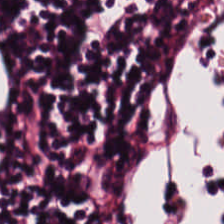Whole-slide-image patch; formalin-fixed paraffin-embedded section; hematoxylin-and-eosin stained section. Lymphocyte aggregate.
